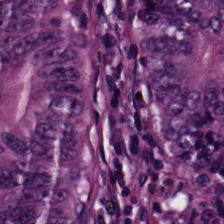H&E stain — The tissue here is adenocarcinoma.
